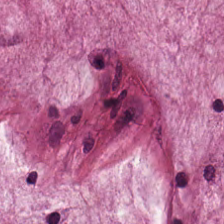Hematoxylin and eosin. Formalin-fixed paraffin-embedded section. Brightfield.
Classification = mucin.
